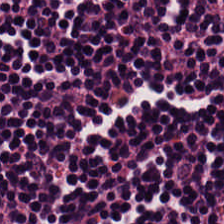224×224 pixel tile; H&E.
The tissue type is lymphocyte aggregate.
